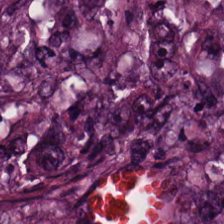Tissue class: colorectal adenocarcinoma epithelium.
